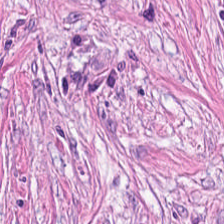H&E; 224×224 px patch — Q: What is shown here?
A: The field shows tumor stroma.
